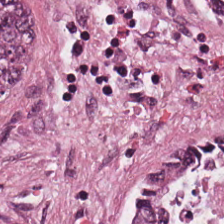H&E stain — Predominant tissue — adenocarcinoma.
